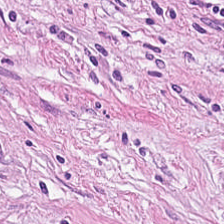Hematoxylin and eosin · 224×224 px tile.
Tissue class = tumor-associated stroma.
